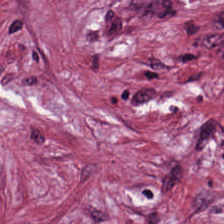The tissue type is desmoplastic stroma.
